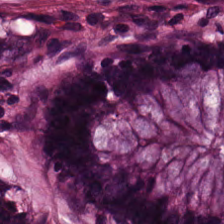Stain: H&E stain.
Resolution: 20× equivalent magnification.
Predominant tissue: non-neoplastic colon mucosa.
